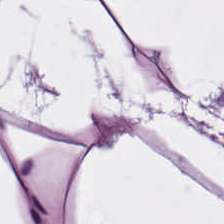H&E stain — Adipose tissue.
